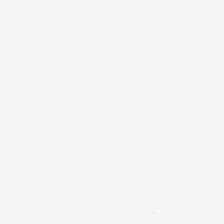H&E stain; whole-slide-image patch; 224×224 pixel tile. Q: What is shown in this field?
A: This is no tissue.
